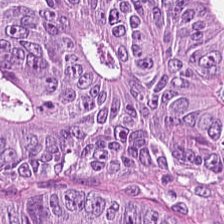FFPE tissue section. H&E stain. The tissue is colorectal adenocarcinoma epithelium.
